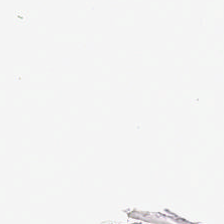Hematoxylin and eosin.
No tissue present; background only.
